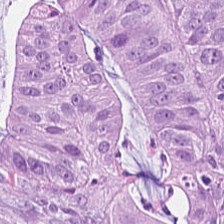Stain: hematoxylin and eosin.
Tissue class: colorectal adenocarcinoma epithelium.
